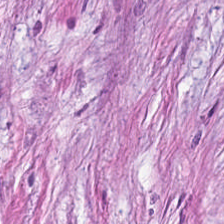H&E stain. Predominantly tumor-associated stroma.
